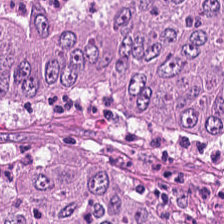WSI patch; FFPE tissue section; hematoxylin-and-eosin stained section — Histology — malignant epithelium.
